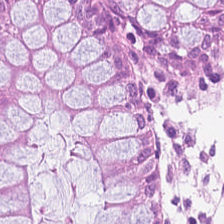224×224 px tile. H&E-stained tissue section. Q: Identify the tissue.
A: It is benign colonic mucosa.
